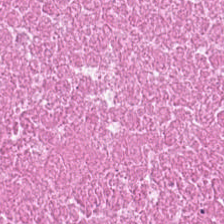FFPE; hematoxylin-and-eosin stained section; 0.5 microns per pixel. This patch shows necrotic debris.
